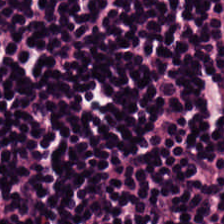H&E. Predominant tissue — lymphocytic infiltrate.
